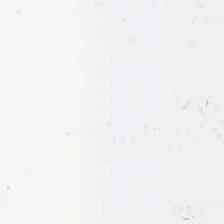0.5 µm/px · WSI patch · hematoxylin and eosin.
Empty field — empty background.
